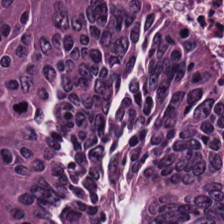Hematoxylin-and-eosin stained section; formalin-fixed paraffin-embedded section — Malignant epithelium.
